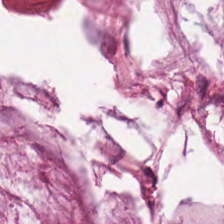Hematoxylin-and-eosin stained section — Showing extracellular mucin.
